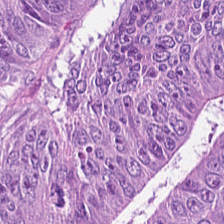Tissue class — malignant epithelium.
